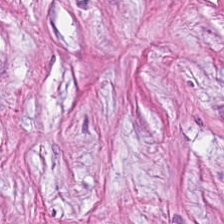Cancer-associated stroma.
